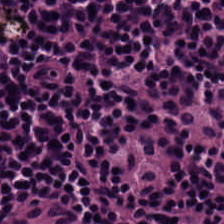Classification — lymphoid infiltrate.
